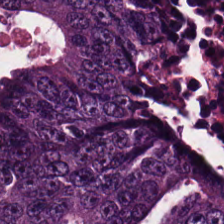20× equivalent magnification; 224×224 pixel tile; H&E. The tissue here is colorectal adenocarcinoma epithelium.
